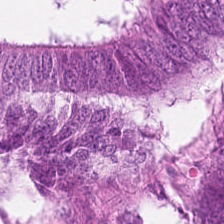H&E · 224×224 px tile · formalin-fixed paraffin-embedded section.
Q: What is shown here?
A: This is colorectal adenocarcinoma epithelium.
